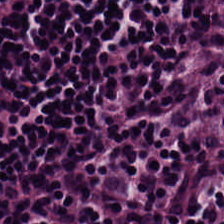H&E stain · whole-slide-image patch.
Lymphocyte aggregate.
